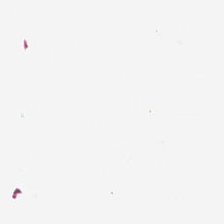Brightfield; H&E stain.
This field is background (no tissue).
